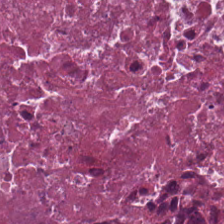Hematoxylin-and-eosin stained section.
This patch shows debris.
